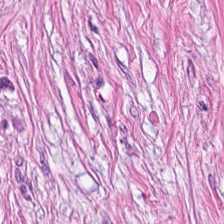Formalin-fixed paraffin-embedded section. H&E stain. 0.5 µm per pixel. Cancer-associated stroma.
